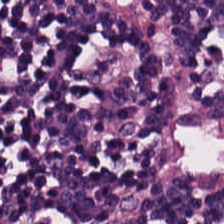The predominant tissue is lymphoid infiltrate.
